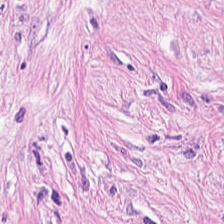H&E-stained tissue section; 0.5 µm per pixel.
The predominant tissue is desmoplastic stroma.
